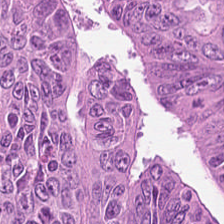{"tissue_type": "colorectal adenocarcinoma epithelium"}
